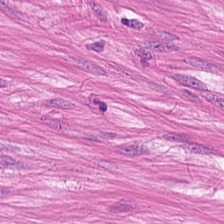Q: What is shown here?
A: The field shows smooth muscle.
